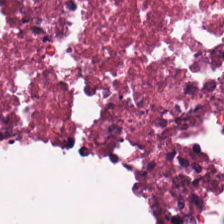H&E-stained tissue section. Formalin-fixed paraffin-embedded section.
This field is debris.
